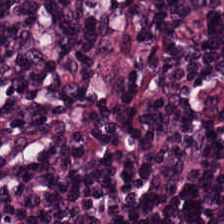H&E stain — Impression → lymphocytes.
